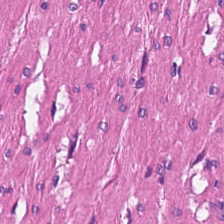0.5 microns per pixel · hematoxylin-and-eosin stained section. This field is muscularis.
